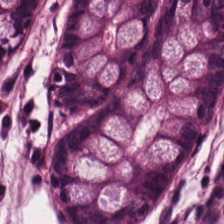Stain: H&E.
Tissue type: non-neoplastic colon mucosa.
